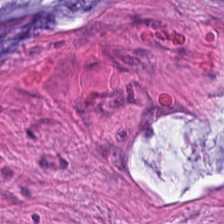Stain: H&E stain.
Tissue: extracellular mucin.
